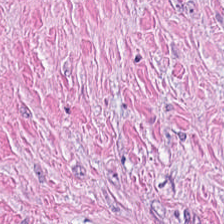0.5 microns per pixel; hematoxylin-and-eosin stained section.
Showing desmoplastic stroma.
